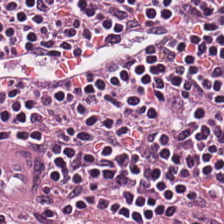Hematoxylin-and-eosin stained section.
The predominant tissue is lymphocytic infiltrate.
